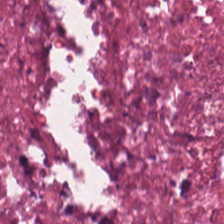0.5 µm per pixel · H&E stain · 224×224 pixel tile.
Showing necrotic debris.
